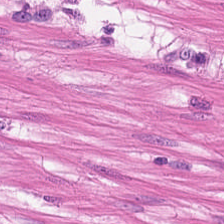Hematoxylin and eosin. Formalin-fixed paraffin-embedded section. Showing smooth muscle.
